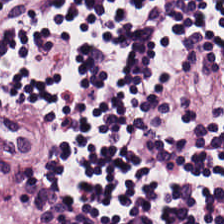H&E.
Predominant tissue: lymphocyte aggregate.
